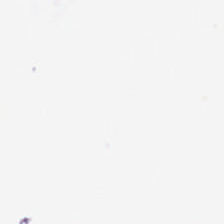H&E stain. Q: What is shown in this field?
A: It is background.
